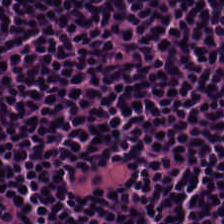H&E stain · 0.5 µm/px · 224×224 pixel tile. Tissue type: lymphocytic infiltrate.
